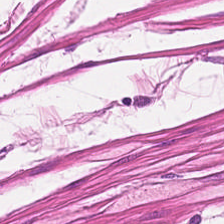Stain: hematoxylin and eosin.
Tissue class: smooth muscle.
